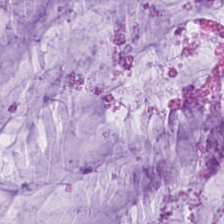H&E stain. {"tissue_type": "extracellular mucin"}
